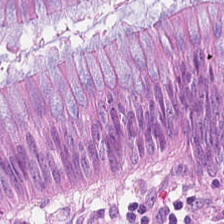Finding → malignant epithelium.
